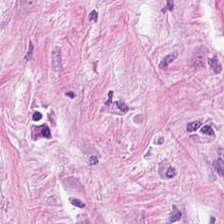This field is tumor-associated stroma.
